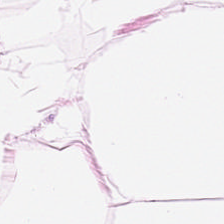Q: What does this patch show?
A: Adipocytes.
